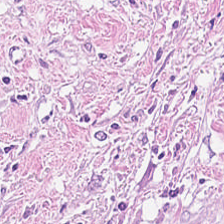Stain: H&E.
Classification: cancer-associated stroma.
